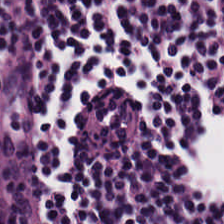H&E-stained tissue section — This field is lymphocytic infiltrate.
